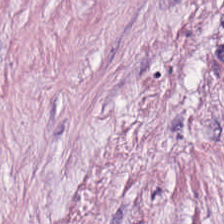H&E-stained tissue section; 224×224 px tile; 0.5 µm per pixel.
Tissue type: desmoplastic stroma.
